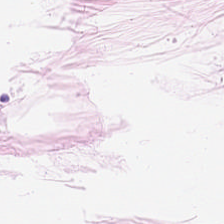Hematoxylin-and-eosin stained section · brightfield microscopy · 0.5 microns per pixel. Showing adipose tissue.
